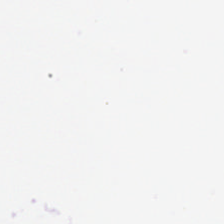Hematoxylin and eosin. Q: Classify this patch.
A: This is background (no tissue).
